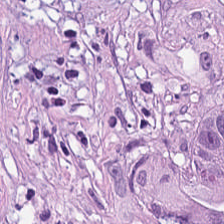H&E; whole-slide-image patch — Tissue type = tumor-associated stroma.
